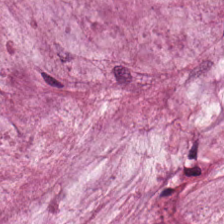H&E.
Predominantly extracellular mucin.
